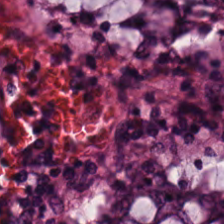Q: What does this patch show?
A: This is non-neoplastic colon mucosa.
